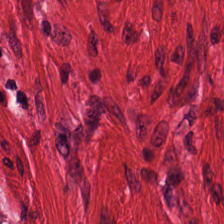Hematoxylin and eosin. Finding → smooth-muscle tissue.
